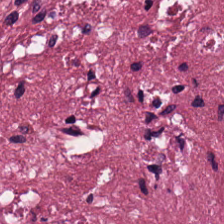Formalin-fixed paraffin-embedded section · 0.5 µm per pixel · H&E — {"tissue_type": "tumor stroma"}
